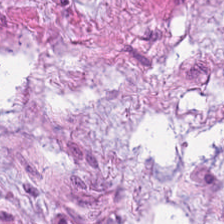Q: What is shown here?
A: The field shows muscularis.
